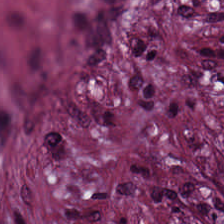H&E stain. Tumor-associated stroma.
